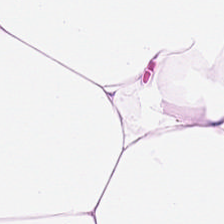Hematoxylin-and-eosin stained section.
Tissue class: adipose tissue.
